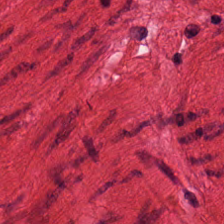Hematoxylin-and-eosin stained section. Predominant tissue: muscularis.
